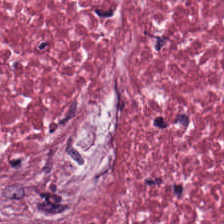Stain: hematoxylin and eosin.
Tissue class: tumor stroma.
